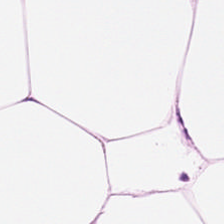Stain: hematoxylin-and-eosin stained section.
Acquisition: brightfield microscopy.
Preparation: FFPE tissue section.
Classification: adipocytes.
